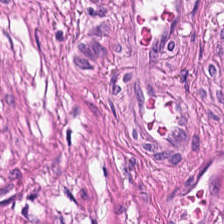H&E-stained tissue section; 224×224 pixel tile — Tissue — smooth-muscle tissue.
